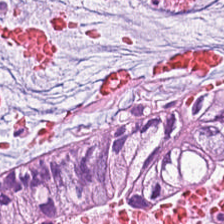H&E stain; FFPE; 0.5 microns per pixel.
This patch shows mucin.
